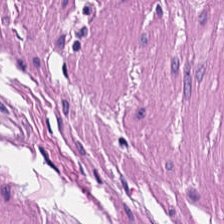Tissue — smooth-muscle tissue.
